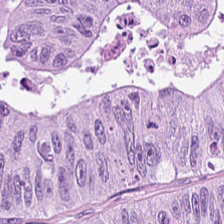WSI patch · FFPE tissue section · H&E stain — Histology → colorectal adenocarcinoma.
